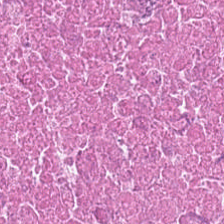Hematoxylin and eosin; brightfield; formalin-fixed paraffin-embedded section.
Predominantly debris.
